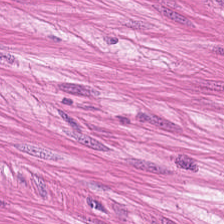The tissue type is smooth muscle.
